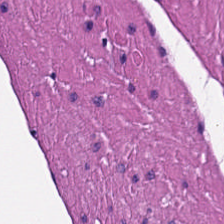H&E. Classification: smooth-muscle tissue.
